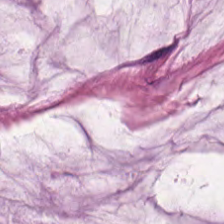Formalin-fixed paraffin-embedded section; H&E stain — {"tissue_type": "extracellular mucin"}
